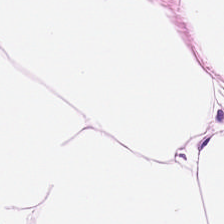The predominant tissue is adipose tissue.
